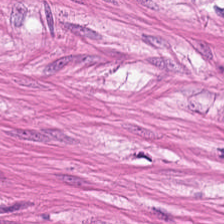Stain: hematoxylin-and-eosin stained section.
Tissue type: muscularis.
